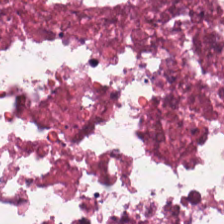Q: What tissue type is shown here?
A: Cellular debris.
